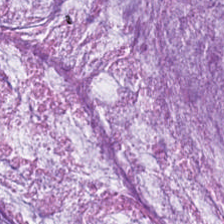H&E stain. Classification — mucus.
